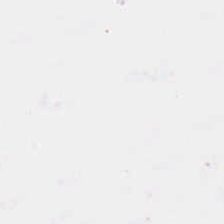Empty field — no tissue.
